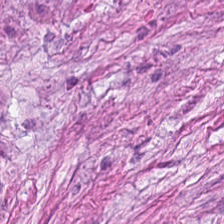Stain: hematoxylin-and-eosin stained section.
Tissue type: tumor-associated stroma.
